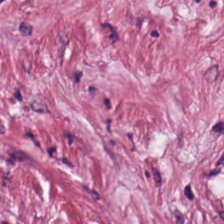Brightfield microscopy · hematoxylin and eosin · FFPE — This patch shows cancer-associated stroma.
